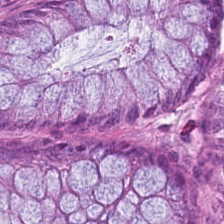Hematoxylin and eosin. This field is normal colonic mucosa.
